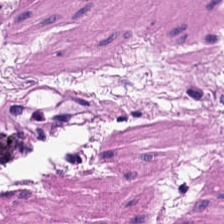Hematoxylin and eosin; 224×224 px patch.
The tissue here is muscularis.
